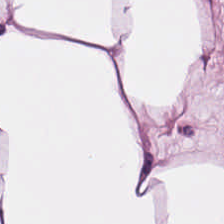H&E patch showing adipose tissue.
